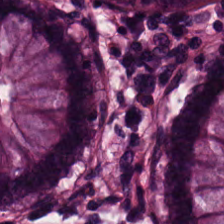224×224 px patch; hematoxylin and eosin. This field is normal colonic mucosa.
